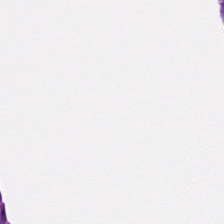Brightfield. H&E stain.
Q: What type of tissue is this?
A: The field shows smooth muscle.
